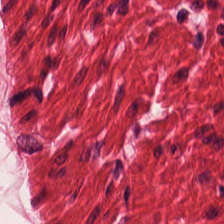H&E. Classification = muscularis.
